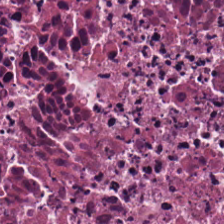H&E-stained tissue section.
Tissue: cellular debris.
